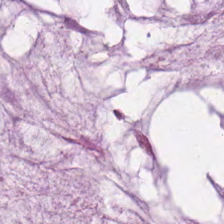Hematoxylin and eosin.
Showing extracellular mucin.
